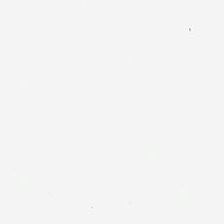H&E — Classification — background (no tissue).
